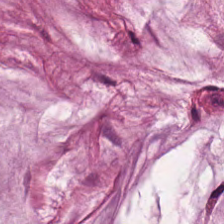Brightfield. H&E-stained tissue section — This patch shows extracellular mucin.
